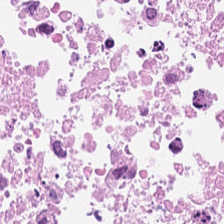H&E-stained tissue section — Tissue type = debris.
